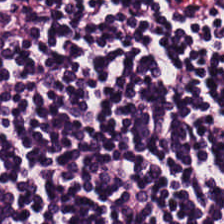Stain: H&E stain.
Tissue: lymphocyte aggregate.
